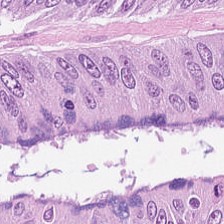H&E stain.
Tissue = colorectal adenocarcinoma.
